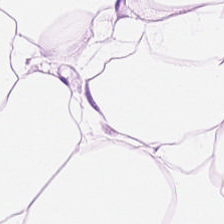Adipose tissue.
